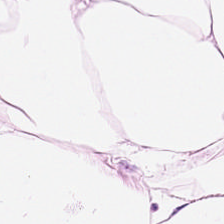Hematoxylin-and-eosin stained section. Brightfield.
This patch shows fat tissue.
